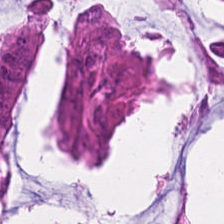Classification — tumor epithelium.
